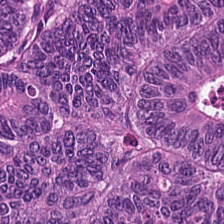Hematoxylin and eosin · 224×224 pixel tile.
The predominant tissue is tumor epithelium.
